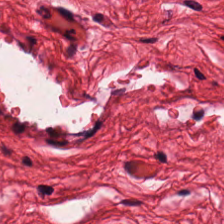H&E. Q: Classify this patch.
A: This is smooth-muscle tissue.
